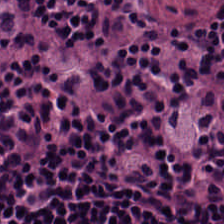Stain: H&E stain.
Tissue class: lymphocytic infiltrate.
